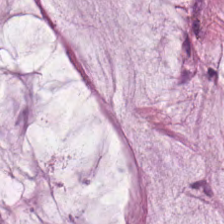Stain: H&E stain.
Resolution: 0.5 microns per pixel.
Acquisition: WSI patch.
Classification: mucin.
